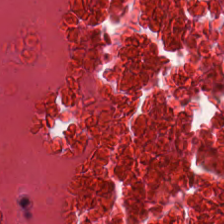H&E stain. Q: What tissue is shown?
A: It is necrotic debris.
